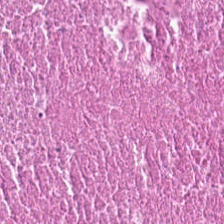H&E-stained tissue section — Tissue type = cellular debris.
